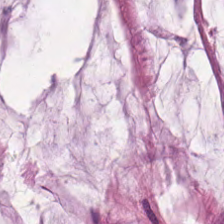Stain: H&E.
Tissue: mucus.
